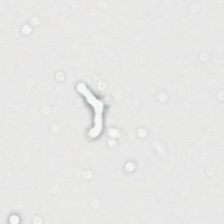H&E-stained tissue section · FFPE — Classification — background (no tissue).
